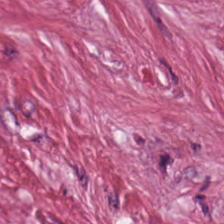Formalin-fixed paraffin-embedded section. H&E. The predominant tissue is tumor stroma.
